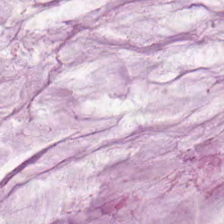WSI patch. 0.5 µm per pixel. H&E-stained tissue section — Q: What does this patch show?
A: The field shows mucin.
